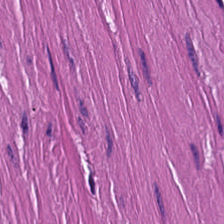Smooth muscle.
